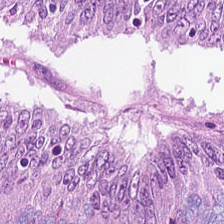H&E — Histology — colorectal adenocarcinoma.
